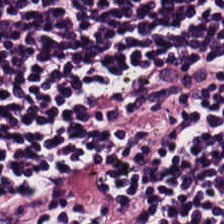Hematoxylin-and-eosin stained section; FFPE.
Tissue: lymphocyte aggregate.
